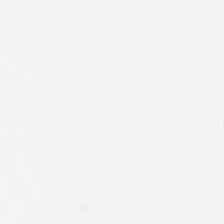H&E-stained tissue section. Field content — background (no tissue).
